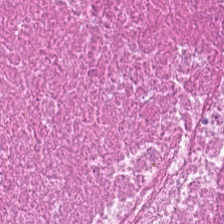Hematoxylin-and-eosin stained section; 0.5 microns per pixel; brightfield microscopy. Classification: necrotic debris.
